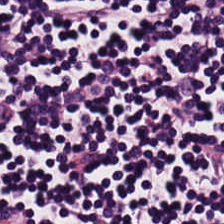Brightfield microscopy. 224×224 px patch. Hematoxylin-and-eosin stained section.
{"tissue_type": "lymphocytes"}
